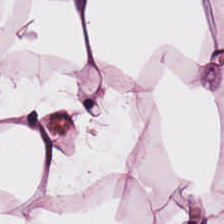0.5 µm per pixel · hematoxylin-and-eosin stained section — This patch shows fat tissue.
